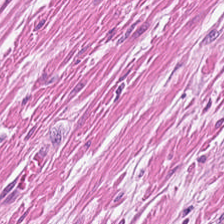0.5 µm per pixel; hematoxylin-and-eosin stained section; formalin-fixed paraffin-embedded section. Tissue class: smooth muscle.
